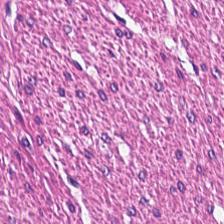H&E-stained section; the field shows smooth-muscle tissue.
